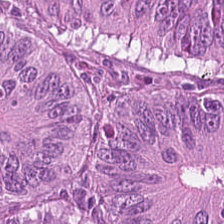H&E · 0.5 µm per pixel.
Colorectal adenocarcinoma.
